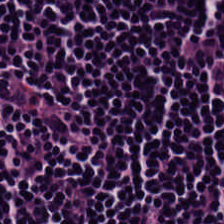20× equivalent magnification · hematoxylin-and-eosin stained section · brightfield.
Tissue: lymphocyte aggregate.
